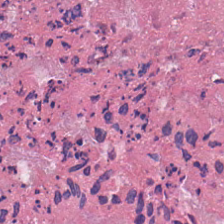Formalin-fixed paraffin-embedded section; hematoxylin and eosin — Q: What type of tissue is this?
A: The field shows debris.
